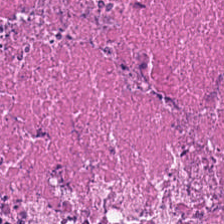H&E stain · FFPE tissue section — Debris.
